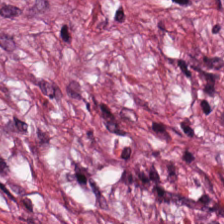Hematoxylin-and-eosin stained section.
Finding → desmoplastic stroma.
